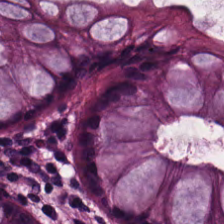H&E. Predominantly normal colon mucosa.
